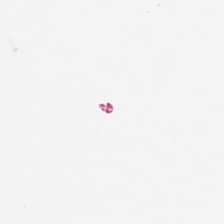Histology → background (no tissue).
